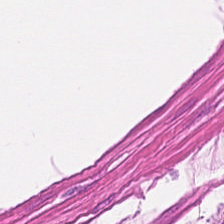Q: What tissue type is shown here?
A: The field shows smooth-muscle tissue.
